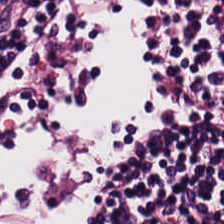H&E stain — The classification is lymphocytes.
